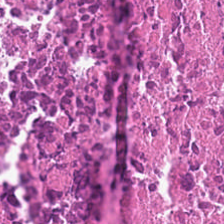224×224 pixel tile; hematoxylin and eosin. The predominant tissue is necrotic debris.
